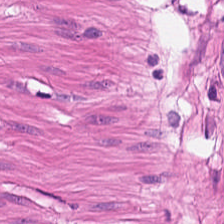H&E stain · formalin-fixed paraffin-embedded section — Q: What does this patch show?
A: This is smooth-muscle tissue.
